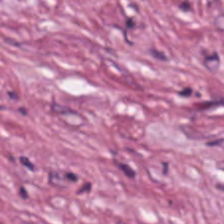{"tissue_type": "tumor stroma"}
